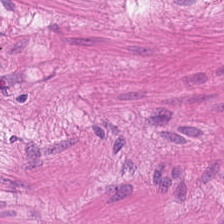H&E-stained tissue section. Showing smooth-muscle tissue.
